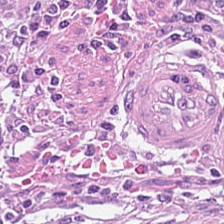Tissue class = cancer-associated stroma.
